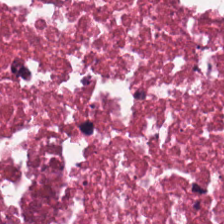The predominant tissue is debris.
